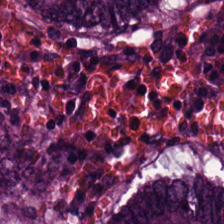Stain: H&E stain.
Tissue: colorectal adenocarcinoma epithelium.
